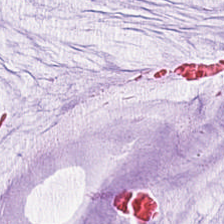Stain: H&E stain.
Tissue class: mucus.
